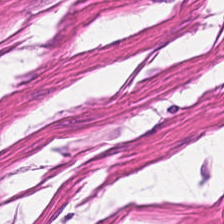H&E-stained tissue section. Tissue class = smooth muscle.
